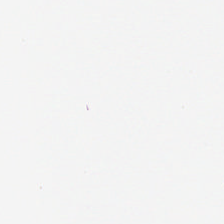Q: What does this patch show?
A: This is background (no tissue).
